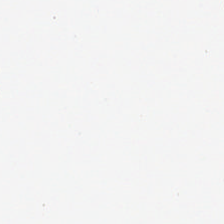FFPE; H&E; 224×224 px patch.
Impression → no tissue.
